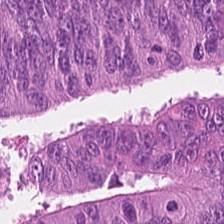Stain: H&E-stained tissue section.
Tissue class: colorectal adenocarcinoma epithelium.
